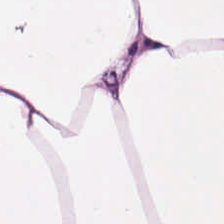H&E — adipose.
